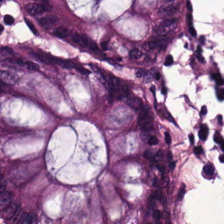H&E — The tissue here is normal colon mucosa.
